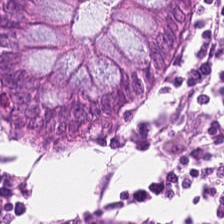Hematoxylin and eosin. Q: Identify the tissue.
A: This is non-neoplastic colon mucosa.
